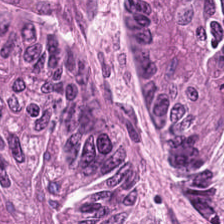Hematoxylin and eosin. Predominant tissue: tumor epithelium.
